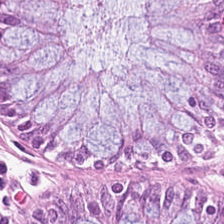Classification = normal colon mucosa.
